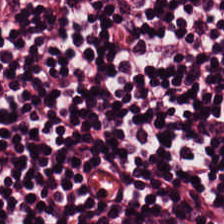H&E stain. WSI patch.
Predominantly lymphocytes.
